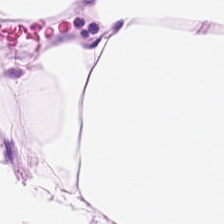Whole-slide-image patch · H&E-stained tissue section.
Impression → fat tissue.
